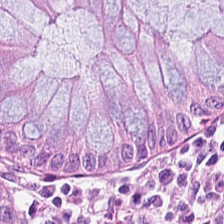Stain: hematoxylin and eosin.
Tissue: normal colonic mucosa.
